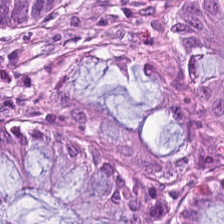Histology → benign colonic mucosa.
